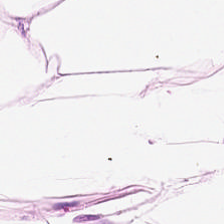224×224 px tile. Formalin-fixed paraffin-embedded section. H&E stain.
Predominantly adipocytes.
